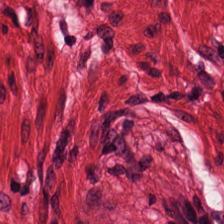Hematoxylin and eosin.
Q: What tissue type is shown here?
A: This is smooth muscle.
